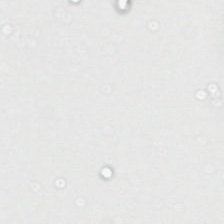H&E-stained tissue section; 0.5 µm per pixel.
Classification: background (no tissue).
